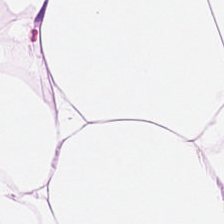Stain: H&E stain.
Resolution: 0.5 microns per pixel.
Tissue class: fat tissue.
